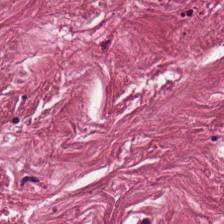Q: What is shown here?
A: Desmoplastic stroma.
